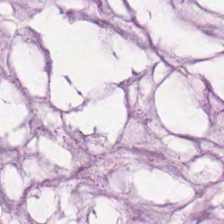Tissue — mucus.
